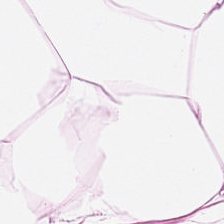H&E-stained tissue section — Tissue — adipose.
